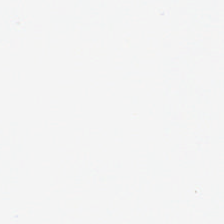Whole-slide-image patch · hematoxylin-and-eosin stained section — Q: What is shown here?
A: This is no tissue.
